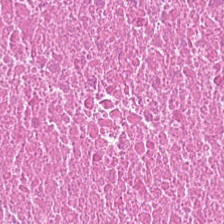Hematoxylin-and-eosin stained section.
This patch shows debris.
